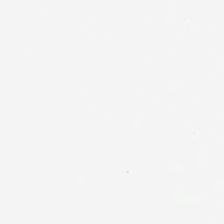Stain: hematoxylin and eosin.
Classification: no tissue.
